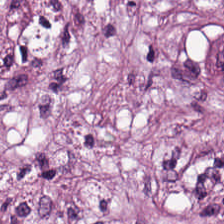Hematoxylin-and-eosin stained section. Predominant tissue — tumor-associated stroma.
